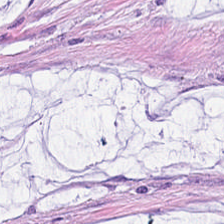Finding — mucus.
